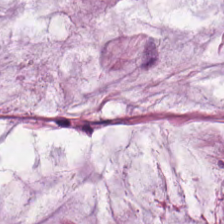H&E stain. FFPE. Predominantly mucus.
